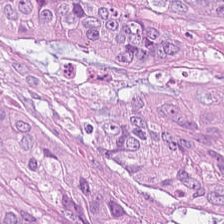Hematoxylin and eosin; 0.5 µm/px; FFPE tissue section.
This patch shows malignant epithelium.
